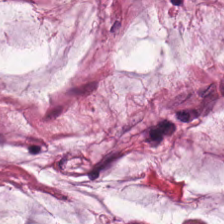H&E stain. Brightfield microscopy — Showing extracellular mucin.
